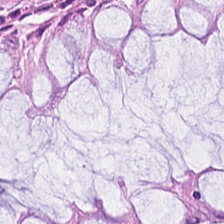H&E. WSI patch. 20× equivalent magnification. Q: What tissue type is shown here?
A: It is normal colon mucosa.
